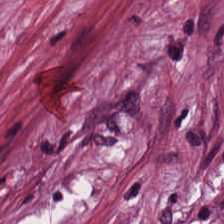H&E-stained tissue section. Showing desmoplastic stroma.
